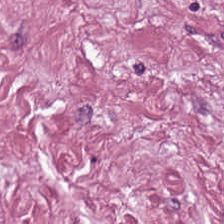The predominant tissue is tumor stroma.
